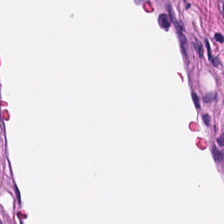20× equivalent magnification; H&E-stained tissue section.
Smooth-muscle tissue.
